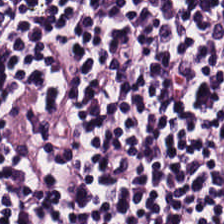0.5 µm/px; hematoxylin and eosin — The tissue here is lymphocyte aggregate.
